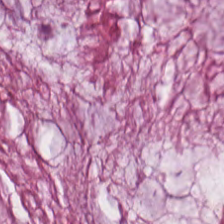This field is mucus.
